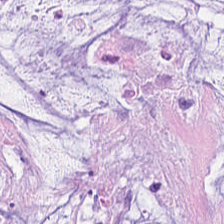FFPE tissue section · 0.5 µm per pixel · H&E-stained tissue section.
Q: Classify this patch.
A: This is mucus.
